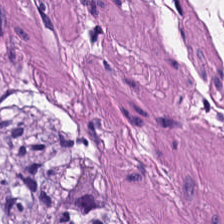Stain: hematoxylin and eosin.
Resolution: 0.5 µm per pixel.
Acquisition: brightfield.
Tissue: muscularis.
